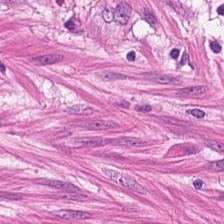224×224 px patch. H&E. The predominant tissue is smooth muscle.
